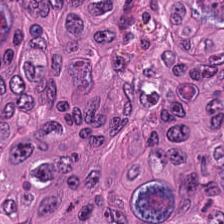H&E stain.
Histology → colorectal adenocarcinoma epithelium.
